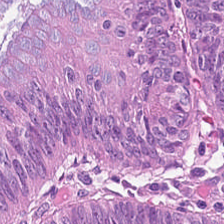Histology → malignant epithelium.
